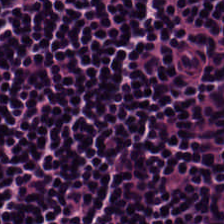Hematoxylin and eosin. Tissue: lymphocytic infiltrate.
